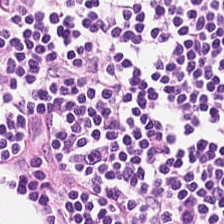H&E-stained tissue section. 224×224 px tile. 0.5 µm/px. Showing lymphocytic infiltrate.
